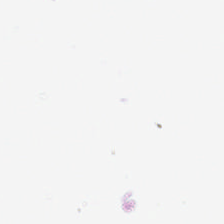0.5 µm/px; FFPE; H&E-stained tissue section — Finding → empty background.
